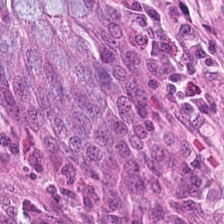Showing benign colonic mucosa.
